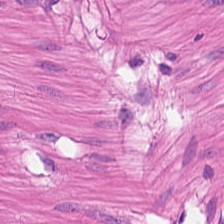FFPE · 224×224 pixel tile · H&E. {"tissue_type": "smooth-muscle tissue"}
